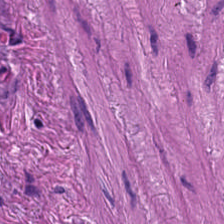Hematoxylin and eosin; 224×224 pixel tile. Tissue — muscularis.
